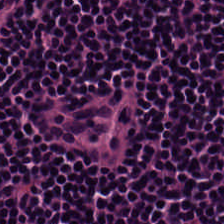The tissue type is lymphocytes.
